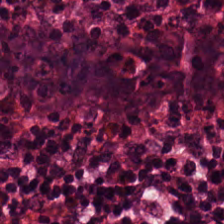Q: Identify the tissue.
A: The field shows benign colonic mucosa.
